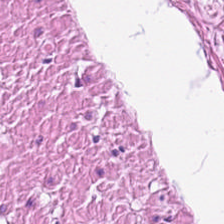H&E.
Tissue class: muscularis.
